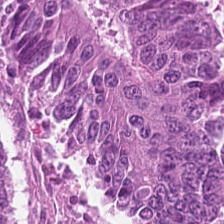H&E-stained section; the field shows tumor epithelium.
